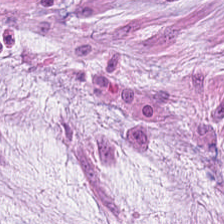Tissue — mucin.
